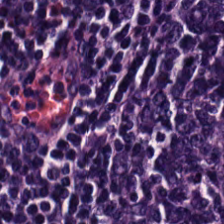Classification — lymphoid infiltrate.
